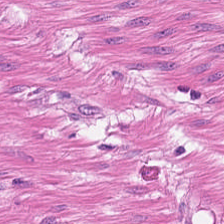Hematoxylin and eosin · FFPE · 0.5 microns per pixel.
{"tissue_type": "muscularis"}
